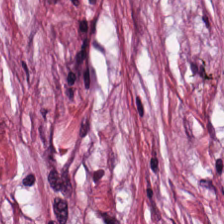H&E patch showing cancer-associated stroma.
